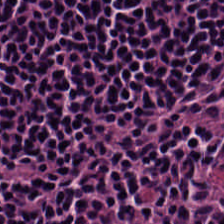Hematoxylin-and-eosin stained section — The tissue here is lymphocytic infiltrate.
